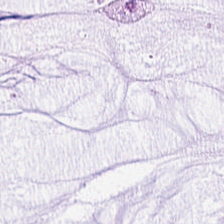Hematoxylin-and-eosin stained section — Q: What is shown in this field?
A: Mucus.
